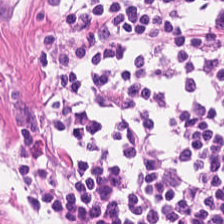Stain: H&E-stained tissue section.
Predominant tissue: smooth muscle.
